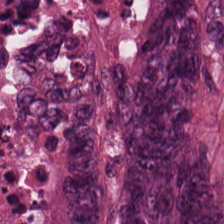Stain: hematoxylin-and-eosin stained section.
Tile size: 224×224 pixel tile.
Tissue type: colorectal adenocarcinoma epithelium.
